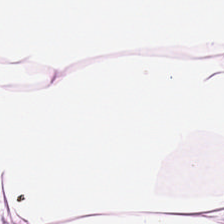H&E-stained tissue section. Tissue type: fat tissue.
